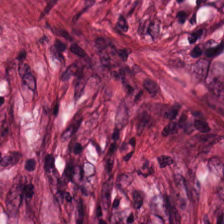H&E stain. Predominantly tumor-associated stroma.
